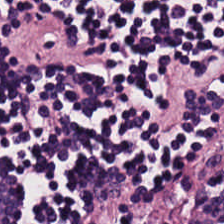H&E stain · brightfield · 224×224 px tile — {"tissue_type": "lymphocytes"}
